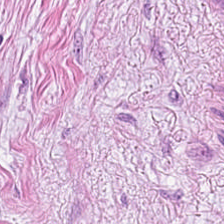H&E — The tissue here is cancer-associated stroma.
